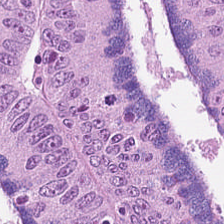Hematoxylin and eosin — Q: Identify the tissue.
A: The field shows malignant epithelium.
